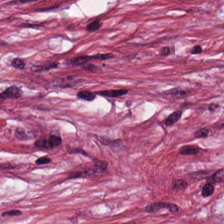H&E stain.
Tissue type — cancer-associated stroma.
